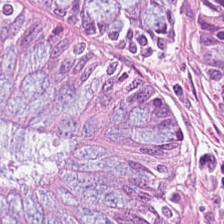H&E stain.
Predominantly normal colonic mucosa.
